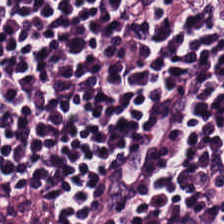H&E stain. Formalin-fixed paraffin-embedded section. Q: Identify the tissue.
A: This is lymphocytes.
